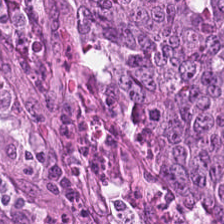H&E. Finding — tumor epithelium.
